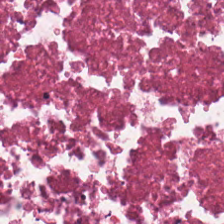FFPE. Hematoxylin-and-eosin stained section — Q: Identify the tissue.
A: It is necrotic debris.
